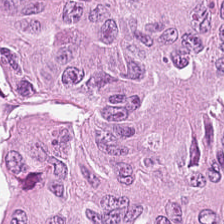H&E.
The tissue type is malignant epithelium.
